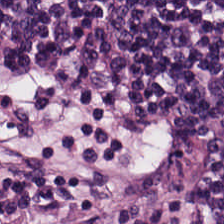H&E-stained tissue section · FFPE tissue section · 224×224 px tile — Finding — lymphoid infiltrate.
